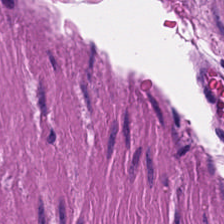Stain: H&E stain.
Tissue class: muscularis.
